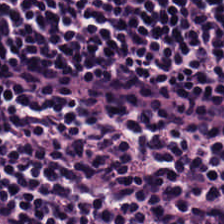Hematoxylin-and-eosin stained section. The predominant tissue is lymphocytic infiltrate.
